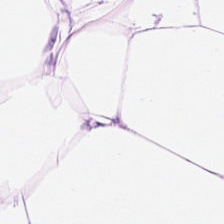Formalin-fixed paraffin-embedded section; H&E stain; 224×224 pixel tile.
Predominantly adipose tissue.
